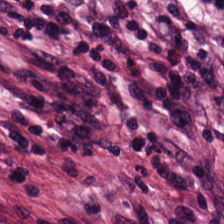Hematoxylin-and-eosin stained section.
Showing desmoplastic stroma.
